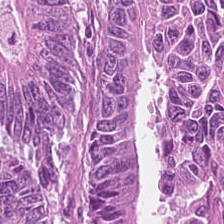WSI patch. Hematoxylin and eosin. Formalin-fixed paraffin-embedded section. Tissue class — colorectal adenocarcinoma epithelium.
